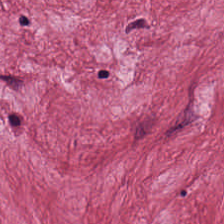H&E. Predominantly tumor-associated stroma.
